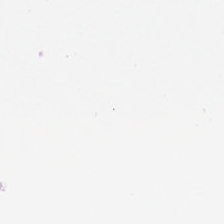Hematoxylin and eosin · 0.5 µm per pixel — Content = empty background.
